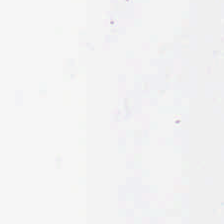Brightfield. H&E-stained tissue section. FFPE tissue section.
Content = background (no tissue).
